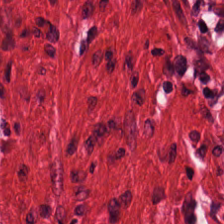H&E — Q: Identify the tissue.
A: The field shows smooth-muscle tissue.
